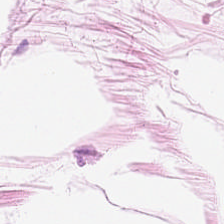FFPE; 224×224 pixel tile; H&E — This patch shows fat tissue.
